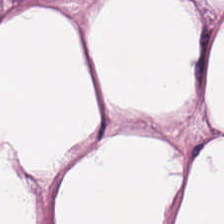20× equivalent magnification · brightfield microscopy · hematoxylin and eosin. Q: Identify the tissue.
A: This is adipose.
